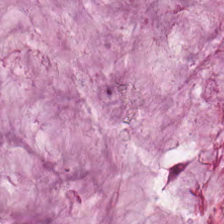Hematoxylin and eosin. {"tissue_type": "mucin"}
